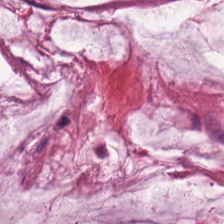H&E. Q: What is the predominant tissue type?
A: This is extracellular mucin.
